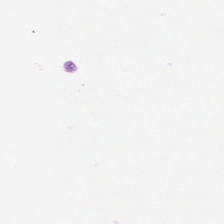H&E. 0.5 µm/px — No tissue present; background only.
